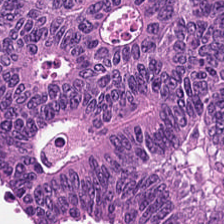H&E stain. Finding — malignant epithelium.
